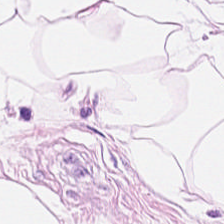H&E-stained tissue section showing adipose.
